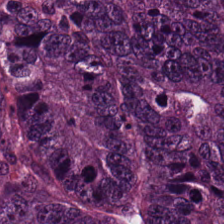Hematoxylin and eosin; 20× equivalent magnification. The tissue here is colorectal adenocarcinoma.
